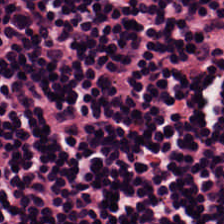The tissue type is lymphocytic infiltrate.
